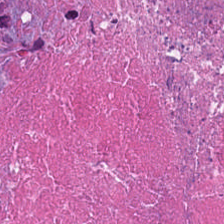224×224 px tile; H&E-stained tissue section. The tissue class is cellular debris.
